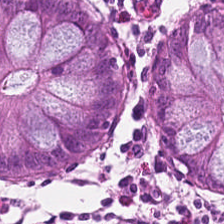H&E stain — Histology — normal colonic mucosa.
